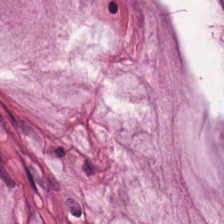H&E stain.
The predominant tissue is extracellular mucin.
